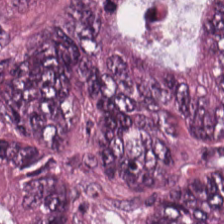H&E-stained tissue section.
Tissue type: tumor epithelium.
